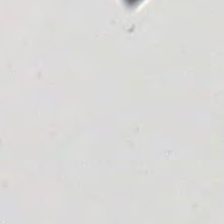Hematoxylin-and-eosin stained section.
No tissue present; background only.
